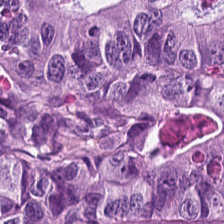H&E stain — The predominant tissue is tumor epithelium.
